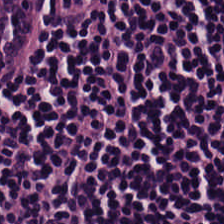Hematoxylin-and-eosin stained section. 0.5 microns per pixel — Histology → lymphocyte aggregate.
